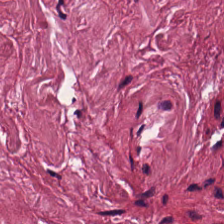Hematoxylin-and-eosin stained section · brightfield.
Q: What is the predominant tissue type?
A: Tumor-associated stroma.
